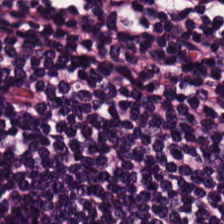H&E-stained tissue section. This field is lymphocytes.
